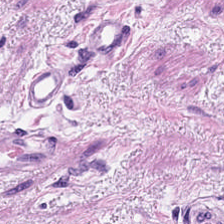Hematoxylin-and-eosin stained section. {"tissue_type": "muscularis"}
